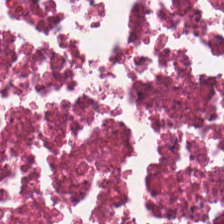Stain: H&E stain.
Tile size: 224×224 px tile.
Resolution: 20× equivalent magnification.
Predominant tissue: necrotic debris.
